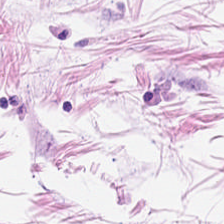H&E — This patch shows adipose.
